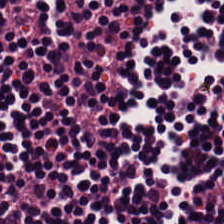Q: What is the predominant tissue type?
A: The field shows lymphocytic infiltrate.
